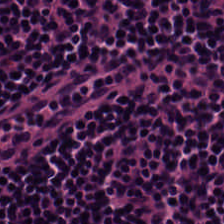Formalin-fixed paraffin-embedded section; hematoxylin-and-eosin stained section; 0.5 microns per pixel — Predominantly lymphocytic infiltrate.
